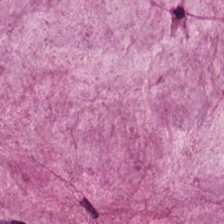Q: What type of tissue is this?
A: It is extracellular mucin.
